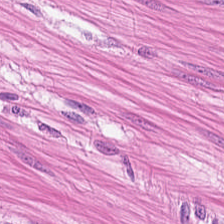H&E stain. 224×224 pixel tile. This field is smooth-muscle tissue.
